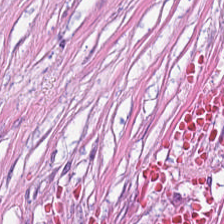H&E-stained tissue section. The tissue here is cancer-associated stroma.
